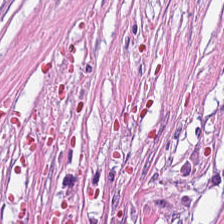Hematoxylin-and-eosin stained section. The tissue is tumor stroma.
